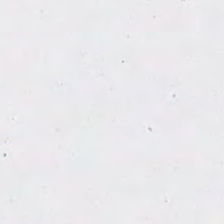Stain: H&E.
Classification: empty background.
